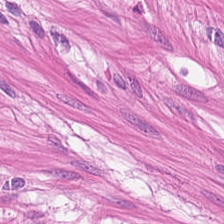Tissue type: smooth-muscle tissue.
